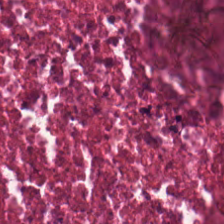H&E. This patch shows debris.
